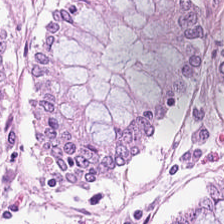H&E. Impression → normal colon mucosa.
